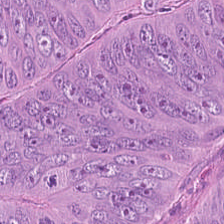H&E stain — Q: Classify this patch.
A: Tumor epithelium.
